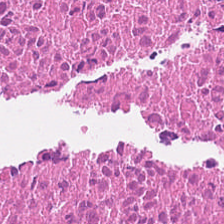224×224 pixel tile. Hematoxylin-and-eosin stained section. 0.5 µm/px.
Tissue: debris.
